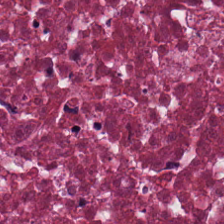Stain: hematoxylin-and-eosin stained section.
Classification: debris.
